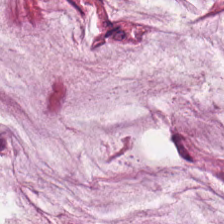H&E.
Mucus.
